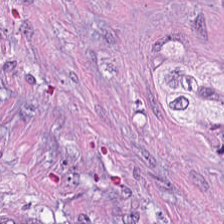Predominant tissue = tumor-associated stroma.
